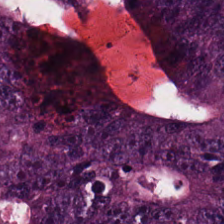Tissue: tumor epithelium.
